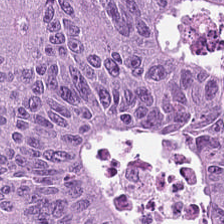H&E — Classification = colorectal adenocarcinoma.
